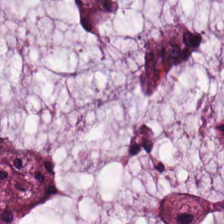Stain: hematoxylin-and-eosin stained section.
Tissue class: mucin.
